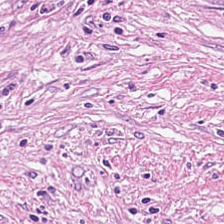Hematoxylin and eosin.
Cancer-associated stroma.
